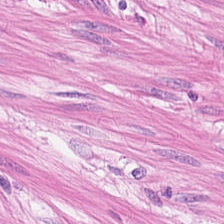0.5 µm/px. Hematoxylin-and-eosin stained section.
Q: Identify the tissue.
A: This is smooth muscle.
